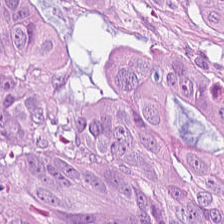224×224 px tile; hematoxylin and eosin — Q: What is the predominant tissue type?
A: This is colorectal adenocarcinoma epithelium.
